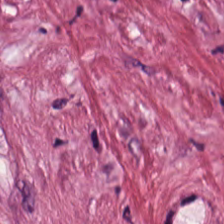H&E-stained tissue section showing cancer-associated stroma.
